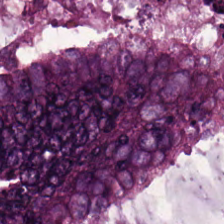224×224 pixel tile; hematoxylin-and-eosin stained section — Q: What is the predominant tissue type?
A: This is colorectal adenocarcinoma.
